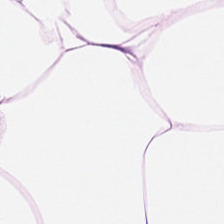H&E; formalin-fixed paraffin-embedded section; 224×224 px patch. Tissue type: adipose tissue.
